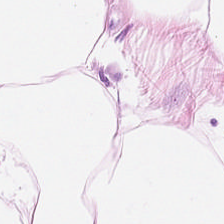H&E-stained tissue section.
This field is adipose.
